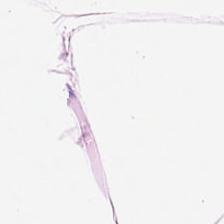H&E-stained tissue section — Predominant tissue — adipocytes.
